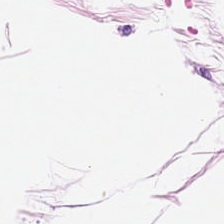0.5 microns per pixel. H&E — Q: Classify this patch.
A: The field shows fat tissue.
